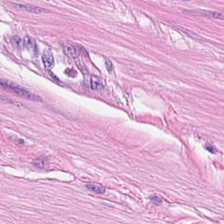H&E; brightfield. Finding → smooth muscle.
